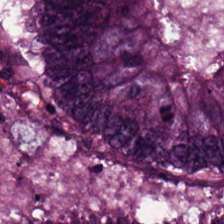Stain: hematoxylin-and-eosin stained section.
Acquisition: brightfield.
Tile size: 224×224 px patch.
Classification: adenocarcinoma.
